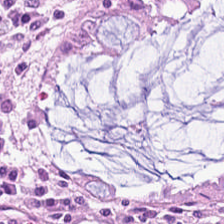H&E-stained tissue section. Showing normal colonic mucosa.
